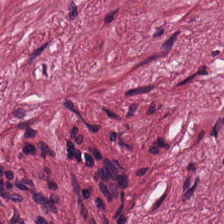Hematoxylin-and-eosin stained section · 0.5 microns per pixel — Tissue = desmoplastic stroma.
